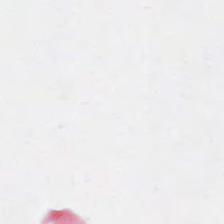H&E stain — Impression → empty background.
